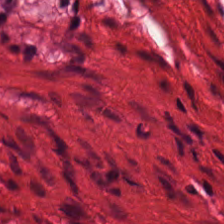FFPE · hematoxylin-and-eosin stained section. {"tissue_type": "smooth-muscle tissue"}
